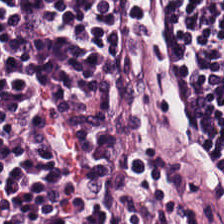H&E-stained tissue section; 224×224 px patch — Finding — lymphocytic infiltrate.
